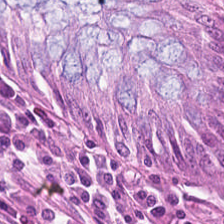H&E — This patch shows normal colon mucosa.
